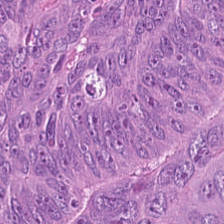Hematoxylin-and-eosin stained section. This field is malignant epithelium.
